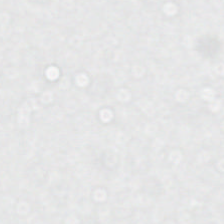Formalin-fixed paraffin-embedded section. Brightfield microscopy. H&E stain.
Background — no tissue in this field.
